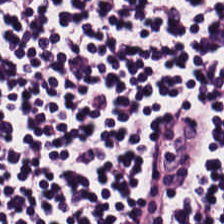Tissue type = lymphoid infiltrate.
